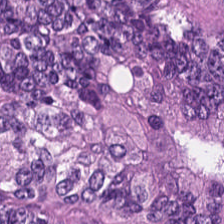H&E stain.
This patch shows colorectal adenocarcinoma.
